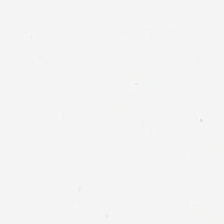Stain: H&E-stained tissue section.
Content: empty background.
